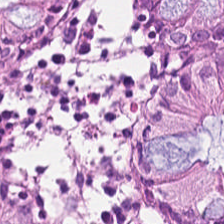H&E — benign colonic mucosa.
